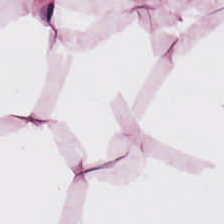224×224 px patch · hematoxylin-and-eosin stained section.
Q: What does this patch show?
A: This is fat tissue.
